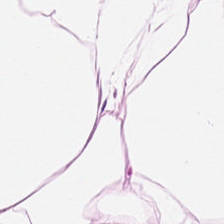0.5 µm per pixel. H&E stain. The tissue type is adipose tissue.
